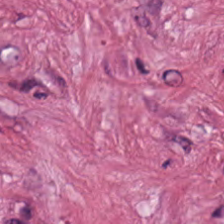20× equivalent magnification; H&E stain — Showing desmoplastic stroma.
